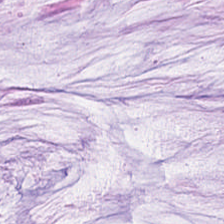Brightfield microscopy · H&E stain. Impression — extracellular mucin.
